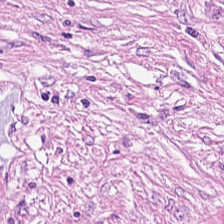Finding — tumor-associated stroma.
